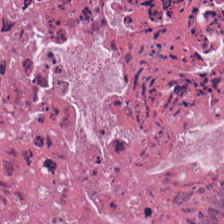Classification = debris.
